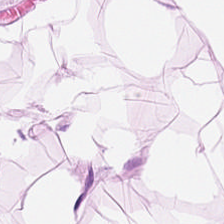Showing adipose tissue.
